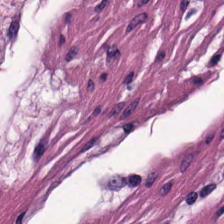Tissue: smooth muscle.
